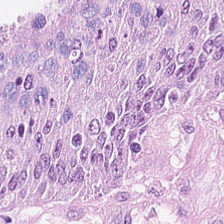Hematoxylin-and-eosin stained section — Adenocarcinoma.
